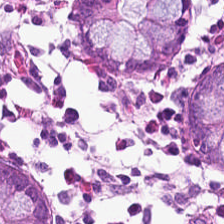Brightfield · H&E stain — Tissue class = normal colonic mucosa.
